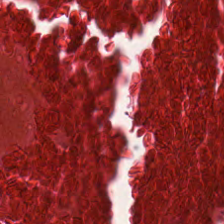Brightfield; H&E — Predominantly necrotic debris.
